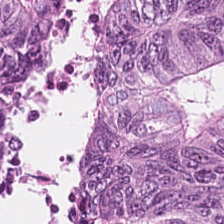H&E stain. Finding → tumor epithelium.
